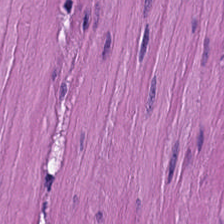Hematoxylin and eosin; 224×224 px patch; FFPE. {"tissue_type": "smooth muscle"}
